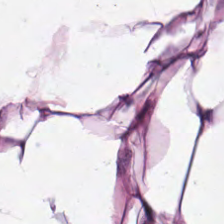Stain: H&E stain.
Tissue class: adipose tissue.
